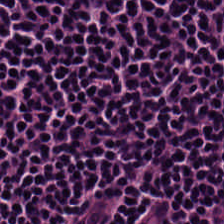Formalin-fixed paraffin-embedded section. H&E. Predominantly lymphocytes.
